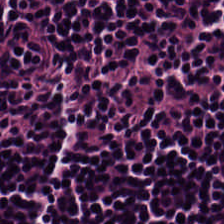224×224 px tile. Hematoxylin-and-eosin stained section. Tissue class — lymphocytes.
